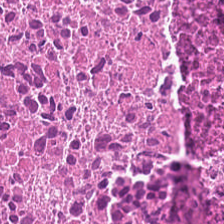Hematoxylin and eosin.
Q: What type of tissue is this?
A: The field shows debris.
